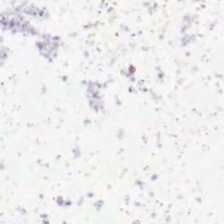Hematoxylin and eosin. Q: What is shown here?
A: The field shows background.
